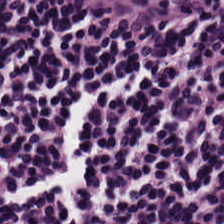Hematoxylin-and-eosin stained section. Tissue: lymphocyte aggregate.
